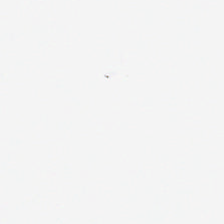Classification — background (no tissue).
